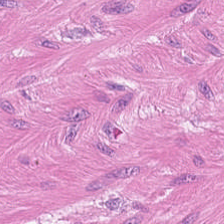FFPE · H&E · WSI patch — The predominant tissue is muscularis.
